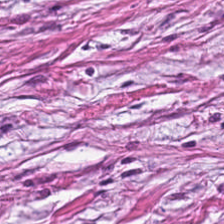H&E-stained tissue section. 224×224 pixel tile. 0.5 microns per pixel — Tissue type — desmoplastic stroma.
